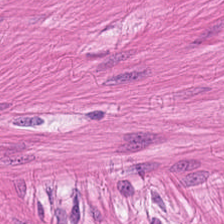The tissue type is smooth muscle.
